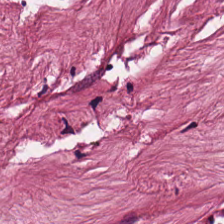H&E-stained section; the field shows tumor-associated stroma.
